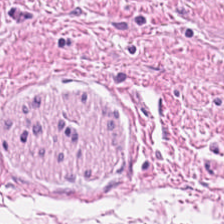Predominantly smooth muscle.
